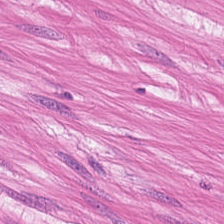H&E · 224×224 px tile. The predominant tissue is smooth muscle.
